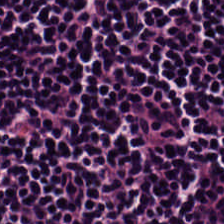H&E — The tissue is lymphoid infiltrate.
